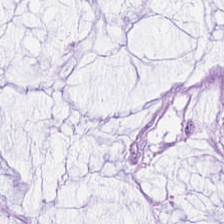H&E. Histology — mucin.
